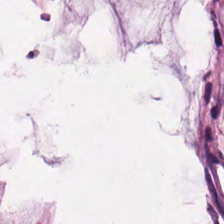Hematoxylin and eosin — The predominant tissue is mucus.
